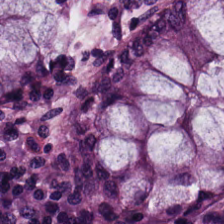H&E — Tissue = non-neoplastic colon mucosa.
